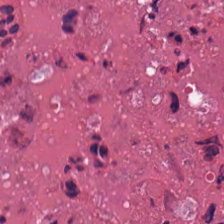224×224 pixel tile · H&E.
Q: Identify the tissue.
A: Debris.
